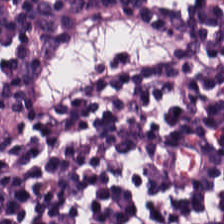FFPE. H&E. WSI patch. This field is lymphocyte aggregate.
